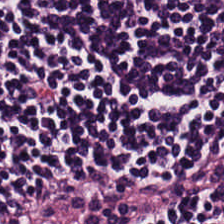H&E. Lymphocytes.
